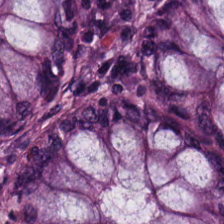Showing normal colon mucosa.
